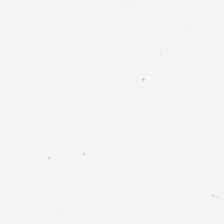H&E stain. Impression → no tissue.
